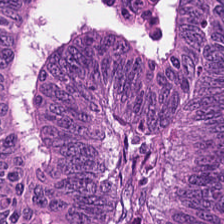Stain: hematoxylin and eosin.
Classification: malignant epithelium.
